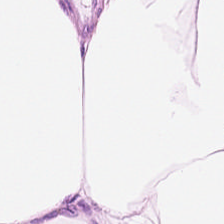Hematoxylin and eosin; whole-slide-image patch. {"tissue_type": "adipocytes"}
